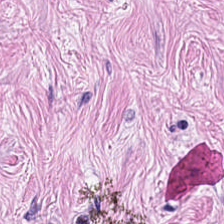H&E stain; 0.5 µm per pixel; WSI patch — Tissue type: tumor stroma.
